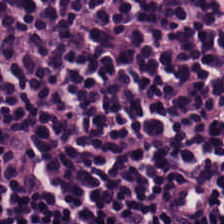Stain: H&E stain.
Tissue class: lymphocytic infiltrate.
